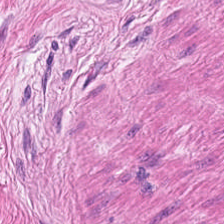Histology → muscularis.
